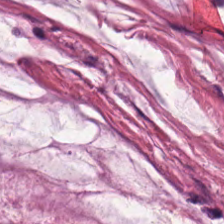0.5 microns per pixel; H&E stain; 224×224 px patch — This patch shows extracellular mucin.
